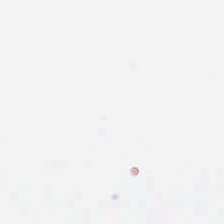Hematoxylin and eosin — Q: What is shown here?
A: The field shows empty background.
